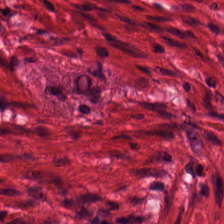H&E.
This field is smooth muscle.
